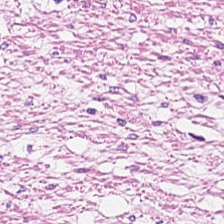Classification: smooth-muscle tissue.
